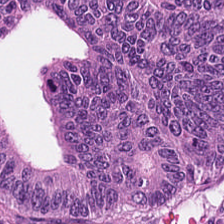Tissue class = colorectal adenocarcinoma.
